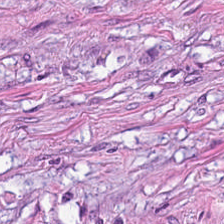Hematoxylin-and-eosin stained section. Whole-slide-image patch — This patch shows tumor stroma.
